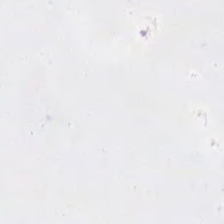Brightfield microscopy. Hematoxylin and eosin. Formalin-fixed paraffin-embedded section — This field is background (no tissue).
